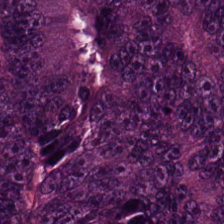0.5 µm per pixel; hematoxylin and eosin.
Classification — tumor epithelium.
